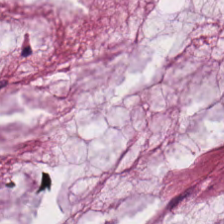Hematoxylin and eosin · brightfield microscopy.
The classification is mucin.
